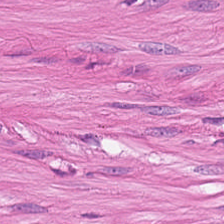Q: Classify this patch.
A: It is muscularis.
